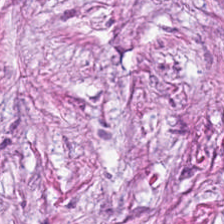Hematoxylin-and-eosin stained section; 0.5 µm per pixel. Showing tumor-associated stroma.
